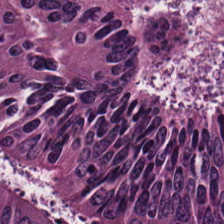Hematoxylin and eosin. This field is colorectal adenocarcinoma.
